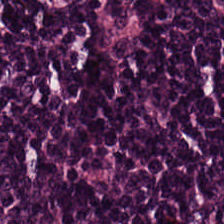0.5 microns per pixel · H&E stain.
Classification — lymphocytes.
